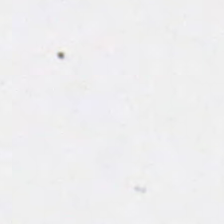H&E stain; brightfield microscopy — Q: What does this patch show?
A: The field shows no tissue.
